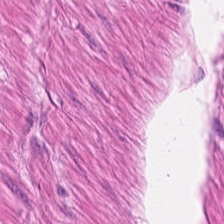Stain: hematoxylin-and-eosin stained section.
Tissue: muscularis.
